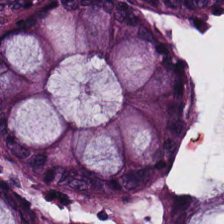Hematoxylin-and-eosin stained section.
Tissue — non-neoplastic colon mucosa.
